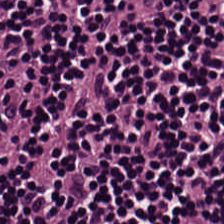H&E stain · whole-slide-image patch. Lymphocytes.
